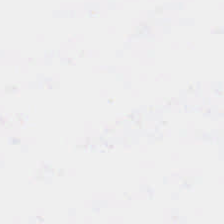H&E-stained tissue section. 224×224 px patch. Background — no tissue in this field.
